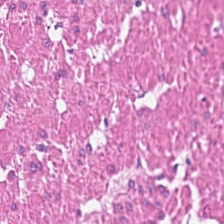Stain: hematoxylin and eosin.
Tissue class: muscularis.
